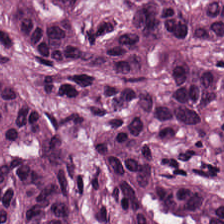Q: What tissue is shown?
A: This is malignant epithelium.
